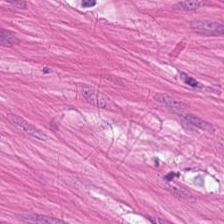H&E. The predominant tissue is smooth muscle.
